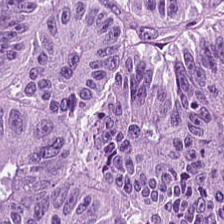H&E — Impression — colorectal adenocarcinoma.
